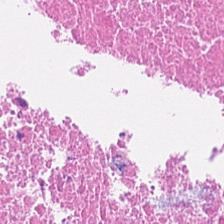H&E. 20× equivalent magnification. 224×224 px tile. Classification — necrotic debris.
